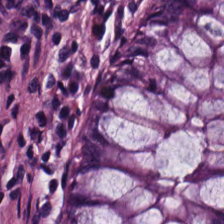Hematoxylin and eosin. Q: Identify the tissue.
A: Non-neoplastic colon mucosa.
